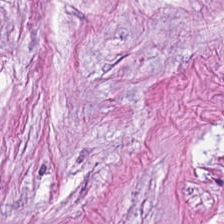H&E-stained tissue section — {"tissue_type": "tumor stroma"}
